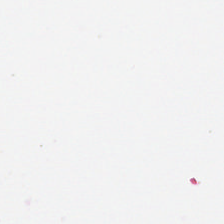Histology — no tissue.
